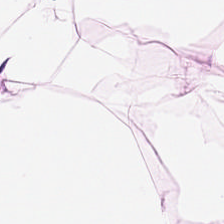H&E. 224×224 px tile. Whole-slide-image patch — Predominant tissue: adipose tissue.
